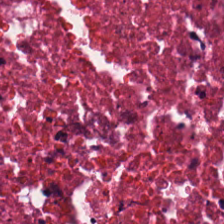224×224 pixel tile · H&E-stained tissue section.
Tissue type: necrotic debris.
